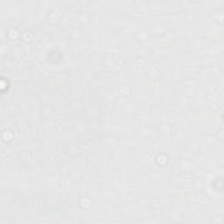Empty field — background (no tissue).
